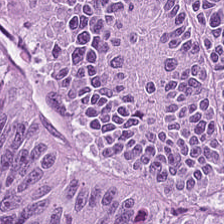Q: Classify this patch.
A: The field shows colorectal adenocarcinoma epithelium.
